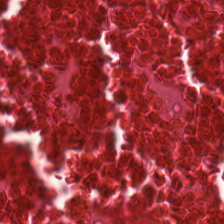H&E-stained tissue section — Tissue type = necrotic debris.
